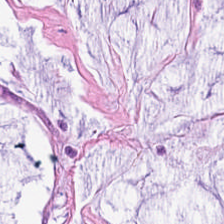Brightfield microscopy; hematoxylin-and-eosin stained section.
Classification = mucin.
